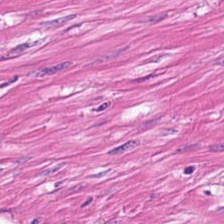H&E patch showing smooth-muscle tissue.
